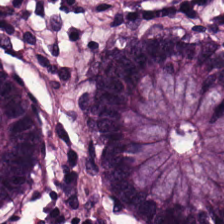224×224 px tile · H&E · 0.5 µm per pixel. The tissue class is benign colonic mucosa.
